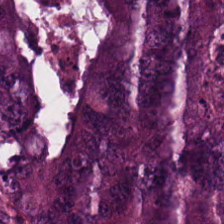Hematoxylin and eosin.
This patch shows colorectal adenocarcinoma epithelium.
